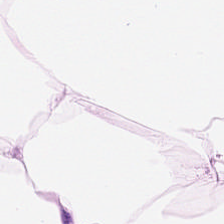Hematoxylin and eosin.
This patch shows adipose.
